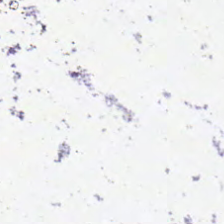Formalin-fixed paraffin-embedded section; H&E-stained tissue section.
Classification = background (no tissue).
